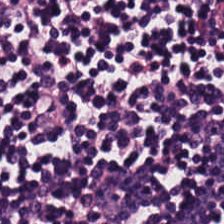H&E.
{"tissue_type": "lymphocyte aggregate"}
